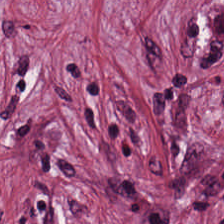Stain: hematoxylin and eosin.
Tissue type: tumor stroma.
